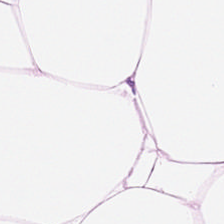This field is adipose tissue.
